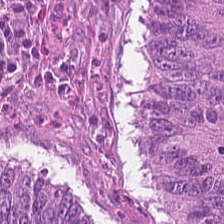Stain: H&E.
Classification: adenocarcinoma.
